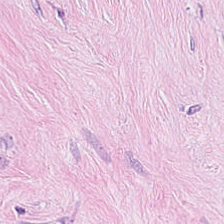H&E.
The tissue here is cancer-associated stroma.
